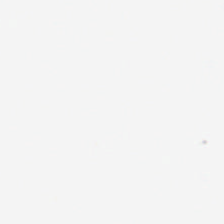Hematoxylin and eosin — Q: What does this patch show?
A: This is background.
